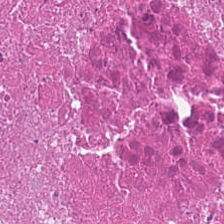Stain: H&E.
Predominant tissue: necrotic debris.
